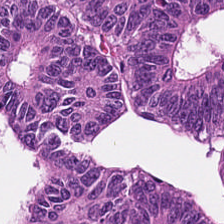H&E-stained tissue section.
This field is colorectal adenocarcinoma epithelium.
